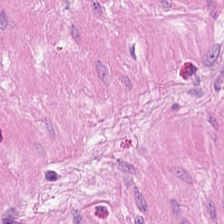0.5 µm per pixel; hematoxylin and eosin — Histology — muscularis.
